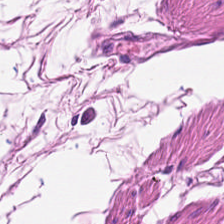H&E stain — This patch shows muscularis.
